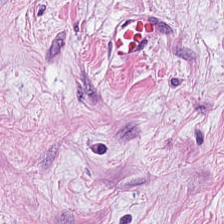Hematoxylin-and-eosin stained section.
Tissue type: desmoplastic stroma.
